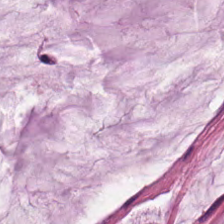H&E stain · FFPE. Q: What tissue type is shown here?
A: The field shows extracellular mucin.
